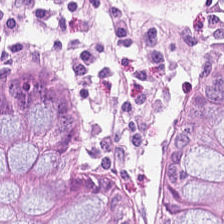H&E stain. This patch shows non-neoplastic colon mucosa.
